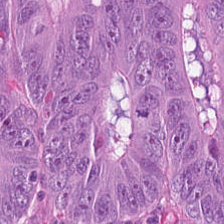Hematoxylin-and-eosin stained section.
Adenocarcinoma.
